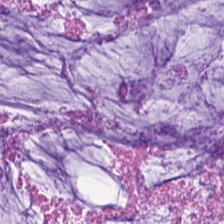The tissue here is mucus.
